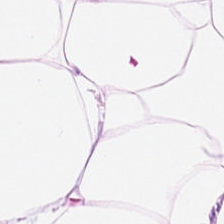Classification — fat tissue.
